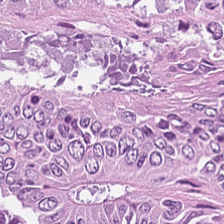H&E. Predominantly colorectal adenocarcinoma epithelium.
